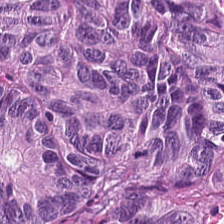H&E; 20× equivalent magnification — Colorectal adenocarcinoma epithelium.
